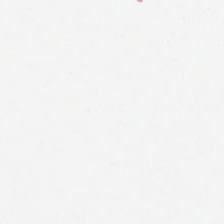This field is background (no tissue).
